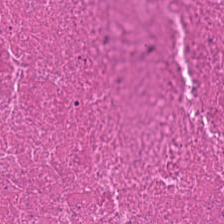H&E — Tissue class — cellular debris.
